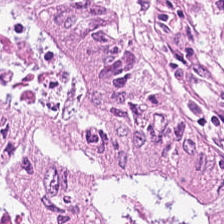H&E stain · 20× equivalent magnification.
Histology — malignant epithelium.
